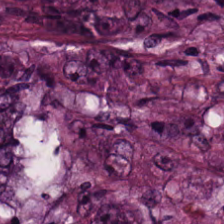Formalin-fixed paraffin-embedded section · H&E stain. {"tissue_type": "adenocarcinoma"}
